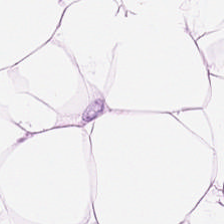Hematoxylin and eosin. 224×224 pixel tile — Classification = adipocytes.
